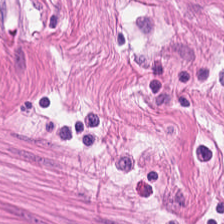0.5 microns per pixel; H&E stain. The classification is muscularis.
